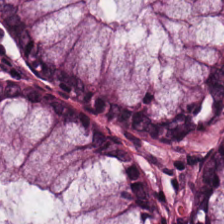H&E stain — Predominantly normal colon mucosa.
